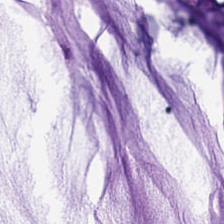H&E stain. The predominant tissue is mucin.
